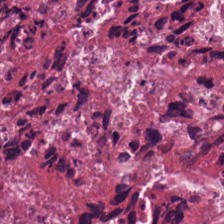H&E · 224×224 px tile · 0.5 µm per pixel. The tissue is necrotic debris.
